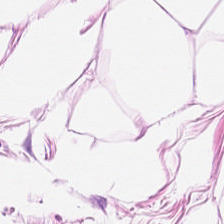H&E-stained tissue section; 224×224 pixel tile; 0.5 microns per pixel. Predominantly fat tissue.
